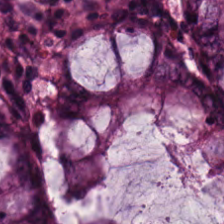Stain: H&E.
Tissue type: normal colonic mucosa.
